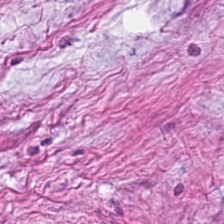H&E stain; brightfield; 224×224 px patch.
This patch shows tumor-associated stroma.
